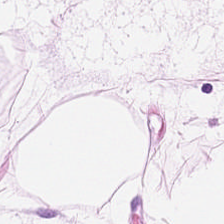Hematoxylin-and-eosin stained section. Adipose tissue.
